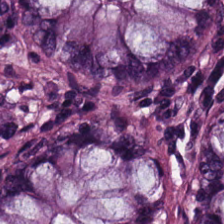H&E-stained tissue section.
The tissue here is normal colonic mucosa.
